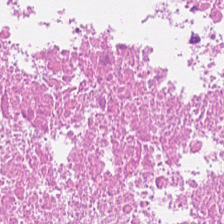224×224 pixel tile. FFPE. Hematoxylin-and-eosin stained section.
The tissue here is cellular debris.
